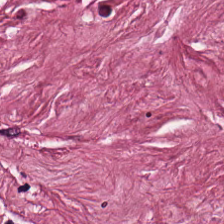The predominant tissue is desmoplastic stroma.
